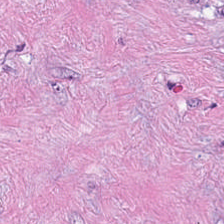Stain: H&E stain.
Tile size: 224×224 px tile.
Tissue class: desmoplastic stroma.
